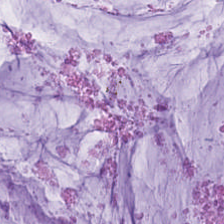Hematoxylin-and-eosin stained section.
The tissue is extracellular mucin.
